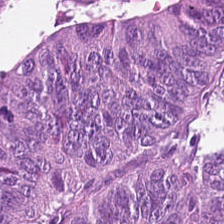Hematoxylin-and-eosin stained section. Tissue — colorectal adenocarcinoma epithelium.
